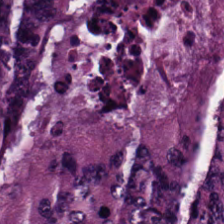H&E-stained tissue section. The predominant tissue is colorectal adenocarcinoma.
